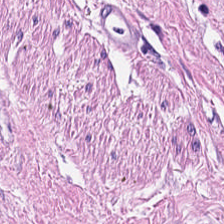Hematoxylin and eosin.
Predominantly smooth-muscle tissue.
